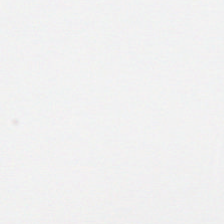0.5 µm per pixel; H&E-stained tissue section — This field is background (no tissue).
